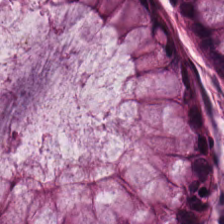H&E-stained tissue section.
The predominant tissue is non-neoplastic colon mucosa.
